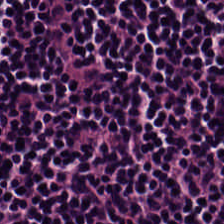Hematoxylin and eosin — Lymphocyte aggregate.
